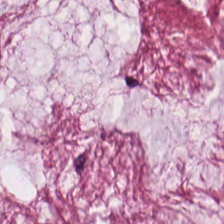This patch shows mucus.
